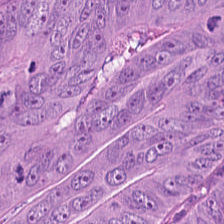0.5 µm/px · hematoxylin and eosin · brightfield microscopy.
Predominant tissue = adenocarcinoma.
